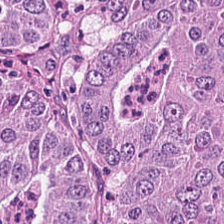Hematoxylin-and-eosin stained section. Brightfield microscopy. 20× equivalent magnification.
Colorectal adenocarcinoma.
